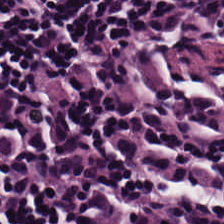The tissue here is lymphocytes.
